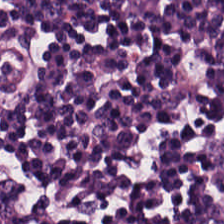0.5 microns per pixel; H&E; 224×224 px patch.
Tissue class = lymphoid infiltrate.
